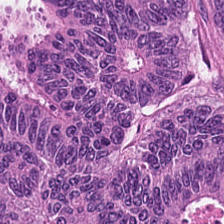Predominant tissue = colorectal adenocarcinoma epithelium.
